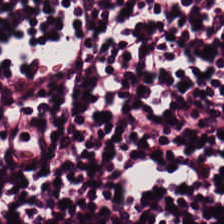H&E patch showing lymphocytic infiltrate.
